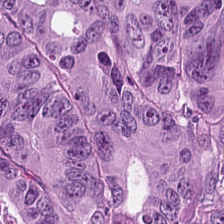Stain: H&E stain.
Tissue: tumor epithelium.
